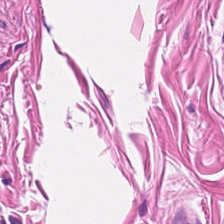H&E · WSI patch · 0.5 µm/px — Histology → smooth-muscle tissue.
